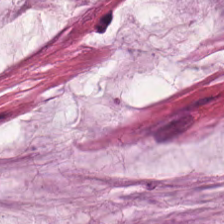H&E stain — Q: Identify the tissue.
A: This is extracellular mucin.
